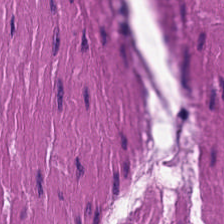H&E stain. 224×224 px patch.
Q: What tissue type is shown here?
A: Smooth-muscle tissue.
